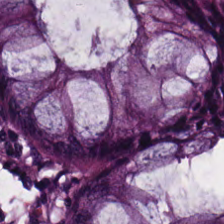Whole-slide-image patch; H&E.
Histology → normal colon mucosa.
